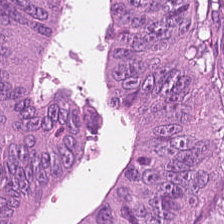Stain: H&E-stained tissue section.
Acquisition: brightfield.
Tile size: 224×224 pixel tile.
Predominant tissue: adenocarcinoma.
